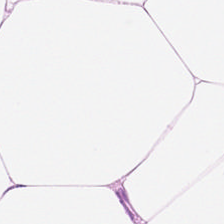Hematoxylin-and-eosin stained section.
Q: What is shown here?
A: This is adipose tissue.
